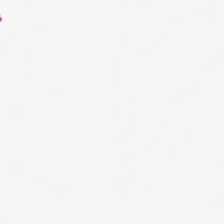H&E stain — Histology → background (no tissue).
